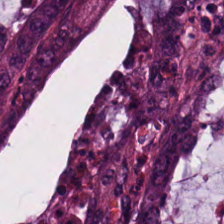FFPE. Hematoxylin-and-eosin stained section. Finding → colorectal adenocarcinoma epithelium.
